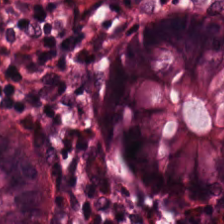H&E stain; 20× equivalent magnification — Showing non-neoplastic colon mucosa.
